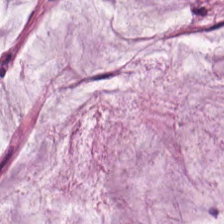WSI patch · hematoxylin and eosin · 20× equivalent magnification — Tissue type: mucin.
